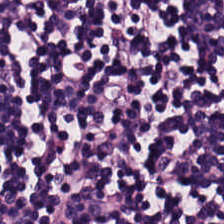Hematoxylin-and-eosin stained section. {"tissue_type": "lymphocyte aggregate"}
